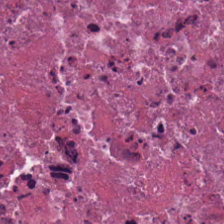Hematoxylin-and-eosin stained section.
Classification — cellular debris.
